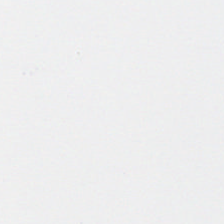Hematoxylin and eosin — Field content = background (no tissue).
